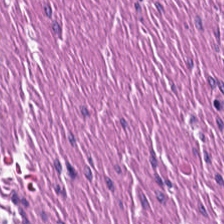Hematoxylin and eosin — Q: What type of tissue is this?
A: It is muscularis.
